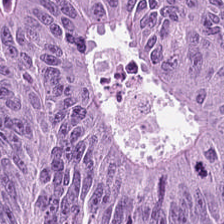H&E. Histology → colorectal adenocarcinoma epithelium.
